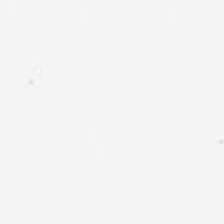This field is background (no tissue).
